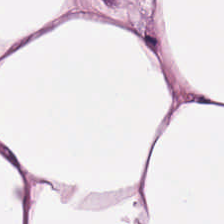H&E-stained tissue section.
The tissue here is adipose.
